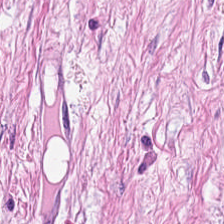Hematoxylin and eosin — Predominantly tumor-associated stroma.
